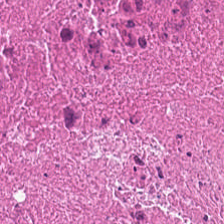H&E-stained tissue section. Formalin-fixed paraffin-embedded section.
Showing debris.
